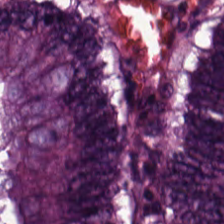H&E stain — Tissue — colorectal adenocarcinoma epithelium.
